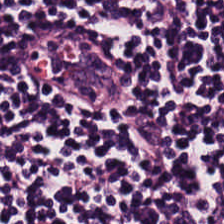Q: What is the predominant tissue type?
A: The field shows lymphocytic infiltrate.
